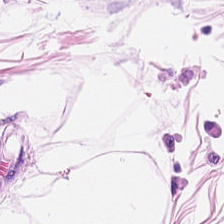Stain: H&E-stained tissue section.
Tissue class: fat tissue.
